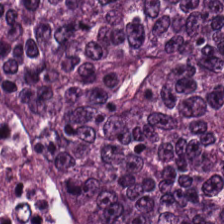{"tissue_type": "adenocarcinoma"}
